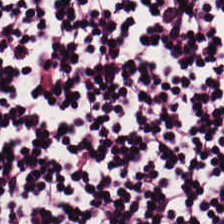H&E stain; 224×224 px patch.
Predominant tissue: lymphocyte aggregate.
